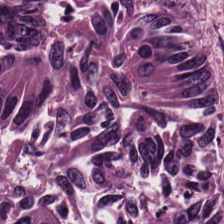0.5 µm/px. Brightfield. Hematoxylin and eosin — Impression — colorectal adenocarcinoma.
